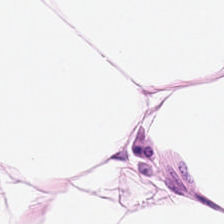Hematoxylin-and-eosin stained section; 224×224 px patch — Impression — adipocytes.
